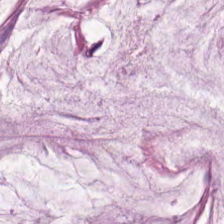Stain: H&E.
Preparation: FFPE.
Resolution: 0.5 microns per pixel.
Predominant tissue: mucus.
